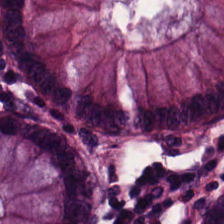20× equivalent magnification · H&E — This patch shows non-neoplastic colon mucosa.
